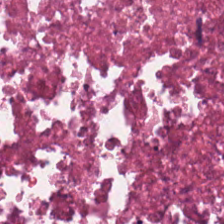The predominant tissue is cellular debris.
